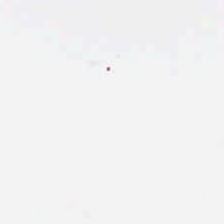H&E-stained tissue section.
Empty field — empty background.
